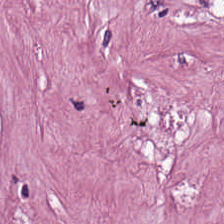Stain: hematoxylin-and-eosin stained section.
Resolution: 20× equivalent magnification.
Acquisition: whole-slide-image patch.
Classification: tumor stroma.
